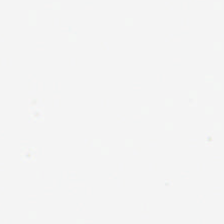0.5 µm per pixel. 224×224 pixel tile. H&E-stained tissue section.
{"content": "background (no tissue)"}
